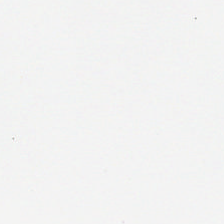Hematoxylin and eosin.
Empty background.
